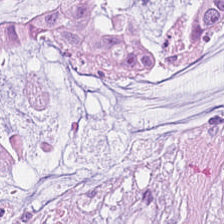H&E · formalin-fixed paraffin-embedded section — Predominantly extracellular mucin.
